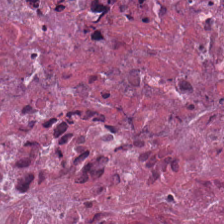Stain: hematoxylin-and-eosin stained section.
Tissue: debris.
